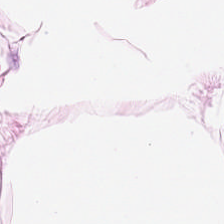Fat tissue.
